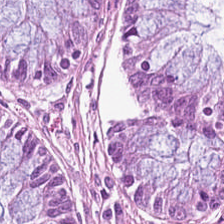Hematoxylin-and-eosin stained section; brightfield; 224×224 px tile. This field is normal colon mucosa.
